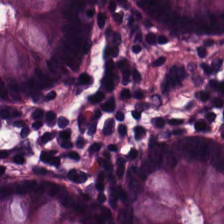Non-neoplastic colon mucosa.
